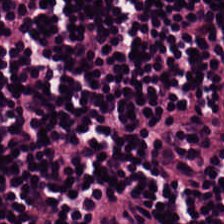Hematoxylin-and-eosin stained section — Q: What type of tissue is this?
A: This is lymphoid infiltrate.
